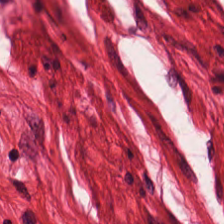Predominant tissue — smooth-muscle tissue.
